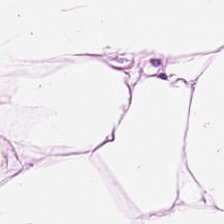Showing fat tissue.
